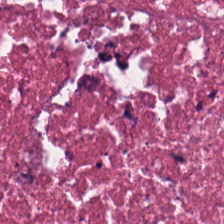Hematoxylin-and-eosin stained section — Q: What is the predominant tissue type?
A: It is cellular debris.
